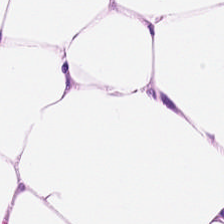{"tissue_type": "adipose"}
